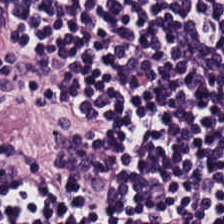Formalin-fixed paraffin-embedded section. H&E stain. Showing lymphoid infiltrate.
